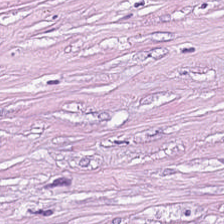Hematoxylin and eosin; 20× equivalent magnification; FFPE tissue section. The predominant tissue is cancer-associated stroma.
